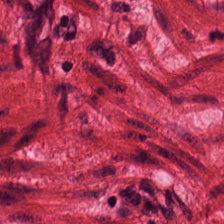Tissue type: muscularis.
